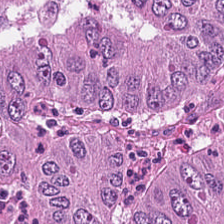224×224 px tile · hematoxylin and eosin · brightfield — Histology → malignant epithelium.
